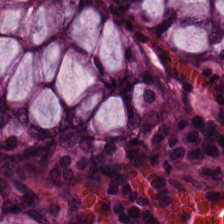Hematoxylin and eosin. The tissue class is normal colon mucosa.
